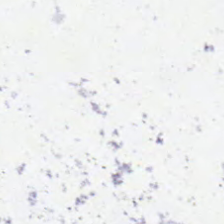H&E-stained tissue section — Q: Classify this patch.
A: Background (no tissue).
